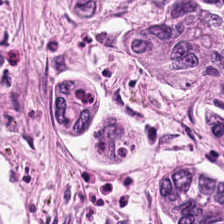Whole-slide-image patch; H&E.
The predominant tissue is malignant epithelium.
